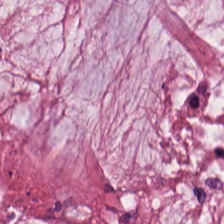Hematoxylin and eosin. Showing mucus.
